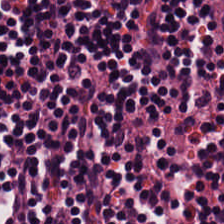Whole-slide-image patch; H&E.
The tissue here is lymphoid infiltrate.
